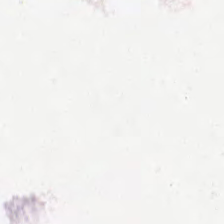Stain: H&E.
Content: background (no tissue).
